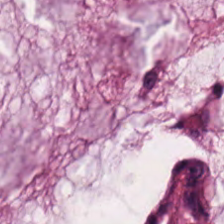Stain: hematoxylin and eosin.
Tissue type: extracellular mucin.
